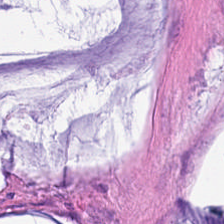Finding → mucus.
